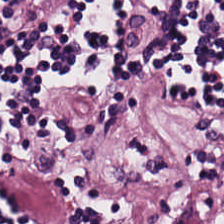Classification — lymphocytic infiltrate.
